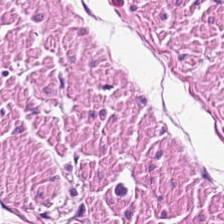Brightfield · H&E-stained tissue section · 0.5 microns per pixel.
This field is muscularis.
